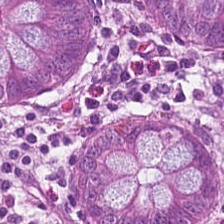H&E-stained tissue section.
Tissue class: non-neoplastic colon mucosa.
